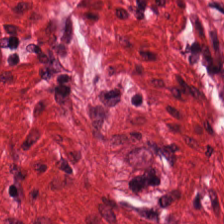H&E stain; whole-slide-image patch; 0.5 microns per pixel. Q: What is shown in this field?
A: This is smooth muscle.
